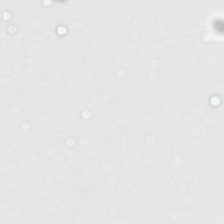224×224 pixel tile; hematoxylin and eosin; 20× equivalent magnification.
No tissue present; background only.
